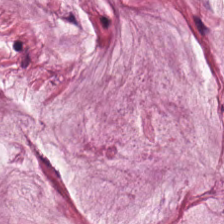Stain: H&E stain.
Preparation: FFPE.
Tissue: mucus.
